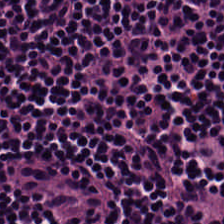224×224 px patch · H&E-stained tissue section.
{"tissue_type": "lymphocytes"}
